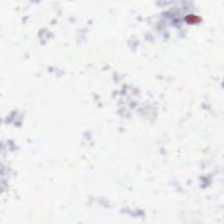No tissue present; background only.
